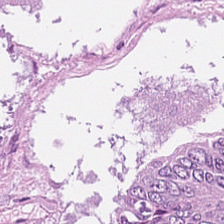Hematoxylin-and-eosin stained section — {"tissue_type": "malignant epithelium"}
